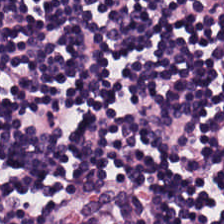Histology — lymphocytes.
